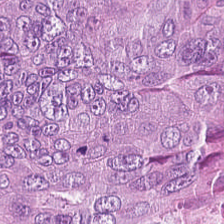WSI patch · H&E · 0.5 µm/px. The tissue type is colorectal adenocarcinoma epithelium.
